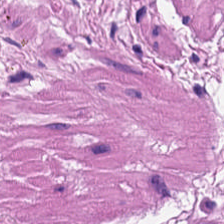Predominant tissue: muscularis.
